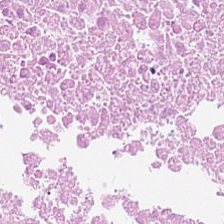H&E. 0.5 microns per pixel. {"tissue_type": "necrotic debris"}
